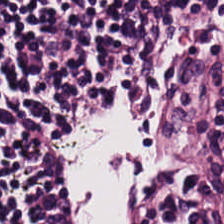Hematoxylin-and-eosin stained section — The tissue here is lymphoid infiltrate.
